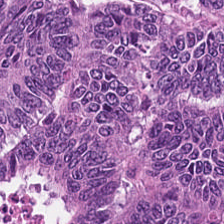Predominantly colorectal adenocarcinoma epithelium.
